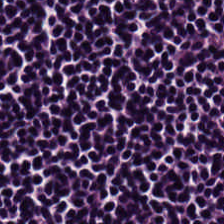Whole-slide-image patch; H&E — {"tissue_type": "lymphocytic infiltrate"}
